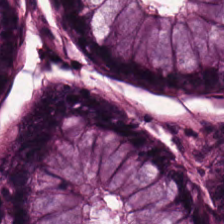224×224 pixel tile; hematoxylin and eosin — Predominant tissue = non-neoplastic colon mucosa.
